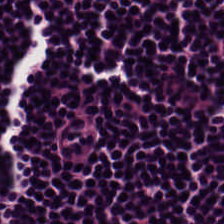This field is lymphocytes.
